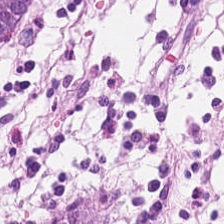H&E-stained tissue section · FFPE · brightfield.
Tissue type — benign colonic mucosa.
